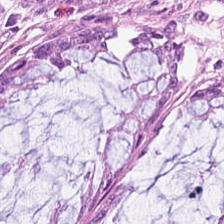Hematoxylin-and-eosin stained section; 20× equivalent magnification; brightfield microscopy. Classification: non-neoplastic colon mucosa.
